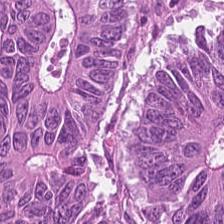H&E; 0.5 µm/px — This patch shows malignant epithelium.
